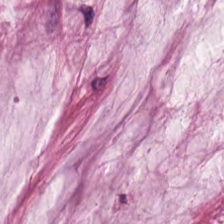Stain: H&E stain.
Tissue class: mucus.
